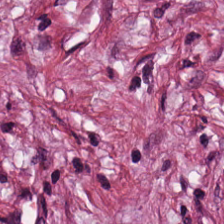The predominant tissue is cancer-associated stroma.
